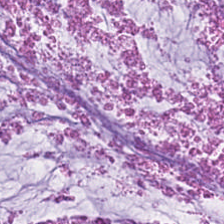Showing mucin.
